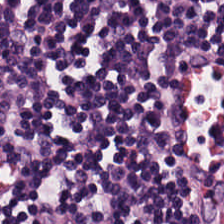Stain: H&E stain.
Resolution: 0.5 µm per pixel.
Tissue: lymphocyte aggregate.
